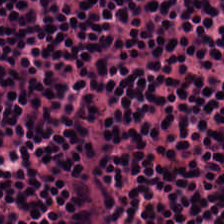Stain: hematoxylin and eosin.
Classification: lymphoid infiltrate.
